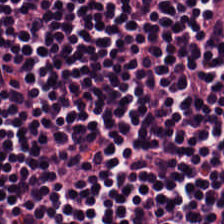Classification = lymphocyte aggregate.
